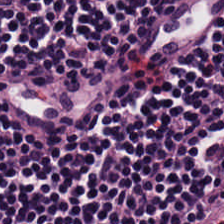Hematoxylin-and-eosin stained section — Tissue: lymphocytic infiltrate.
